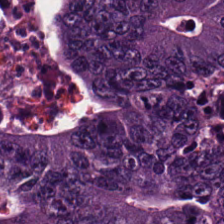Predominant tissue = tumor epithelium.
